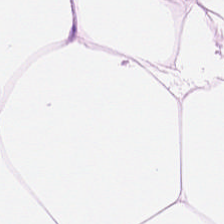Predominant tissue = adipose tissue.
